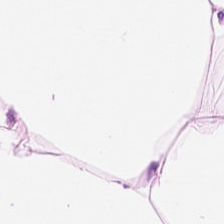H&E.
Adipose tissue.
